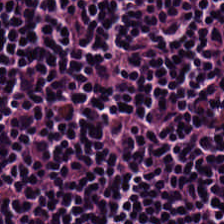H&E. Predominantly lymphocytic infiltrate.
